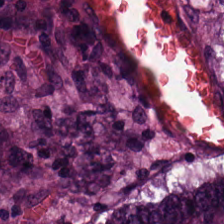Brightfield microscopy. Hematoxylin and eosin. FFPE tissue section.
Showing tumor epithelium.
